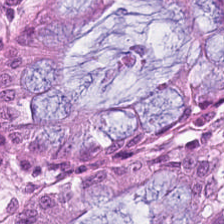Hematoxylin and eosin — The predominant tissue is non-neoplastic colon mucosa.
